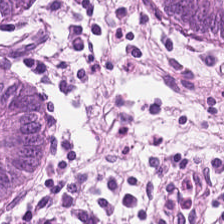H&E; 224×224 pixel tile.
Histology → non-neoplastic colon mucosa.
